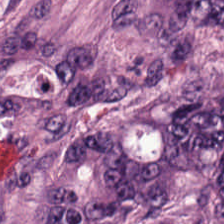H&E. Colorectal adenocarcinoma.
